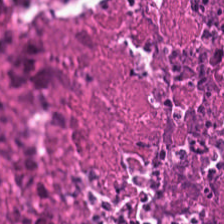H&E-stained tissue section — The tissue is debris.
